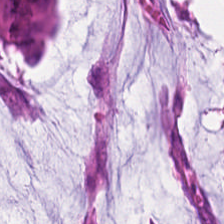Q: Classify this patch.
A: The field shows malignant epithelium.
